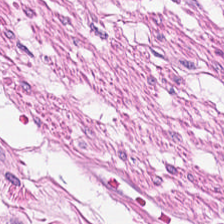Q: Identify the tissue.
A: The field shows smooth-muscle tissue.
